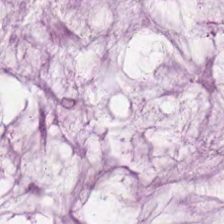Stain: H&E stain.
Predominant tissue: extracellular mucin.
